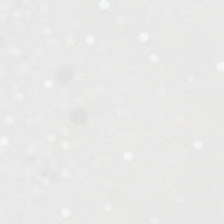H&E stain — This field is background (no tissue).
